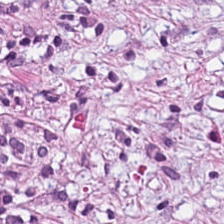Stain: H&E-stained tissue section.
Resolution: 0.5 microns per pixel.
Tissue class: cancer-associated stroma.
